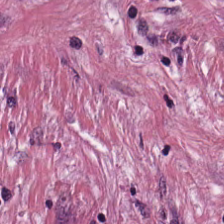Whole-slide-image patch · H&E-stained tissue section · formalin-fixed paraffin-embedded section. {"tissue_type": "cancer-associated stroma"}
